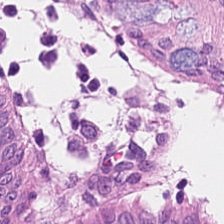Hematoxylin-and-eosin stained section — Tissue class — normal colonic mucosa.
